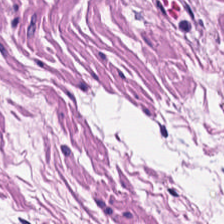H&E — This patch shows smooth-muscle tissue.
